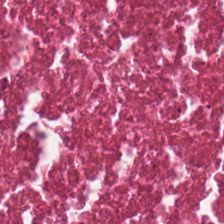H&E-stained tissue section. The tissue is necrotic debris.
